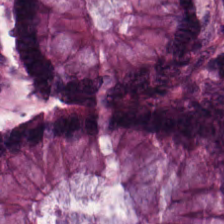Stain: hematoxylin and eosin.
Tissue class: normal colon mucosa.
